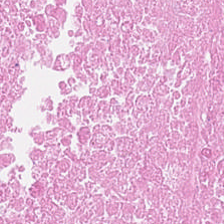WSI patch. 0.5 µm/px. H&E. Showing necrotic debris.
